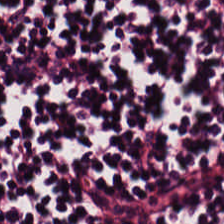Hematoxylin and eosin — The predominant tissue is lymphocyte aggregate.
